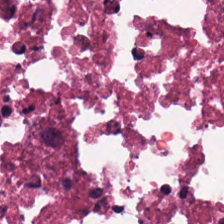H&E-stained tissue section.
Impression → debris.
